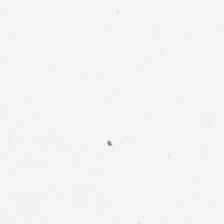Hematoxylin-and-eosin stained section; whole-slide-image patch; formalin-fixed paraffin-embedded section.
No tissue present; background only.
